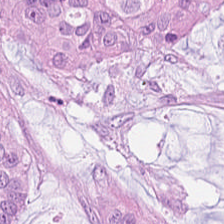Hematoxylin-and-eosin stained section; 224×224 px tile.
The predominant tissue is tumor epithelium.
